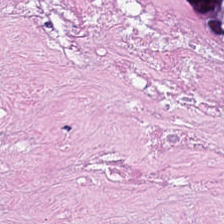H&E. Predominantly cellular debris.
